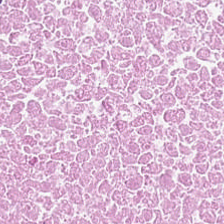Hematoxylin and eosin — The tissue here is necrotic debris.
